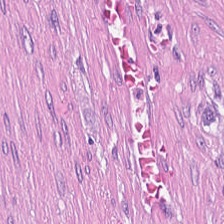H&E · 224×224 pixel tile — Q: What tissue is shown?
A: It is tumor-associated stroma.
